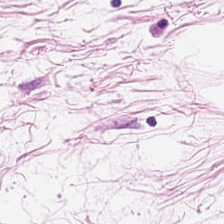The tissue type is adipose tissue.
